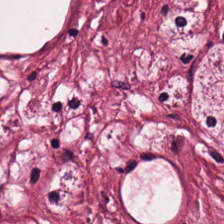Tissue class — desmoplastic stroma.
